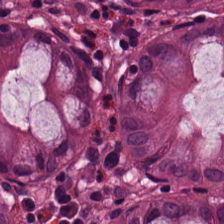20× equivalent magnification. H&E.
Finding — normal colonic mucosa.
